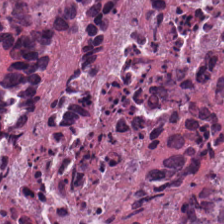Classification — debris.
